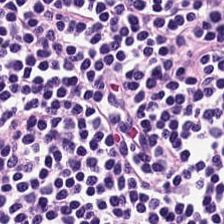H&E stain — Tissue type — lymphocytic infiltrate.
